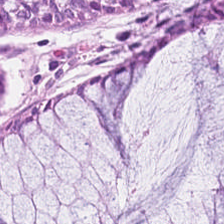H&E-stained tissue section. Showing non-neoplastic colon mucosa.
